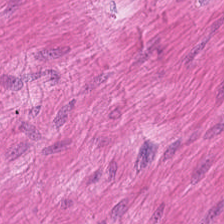Hematoxylin and eosin; brightfield. {"tissue_type": "smooth-muscle tissue"}
